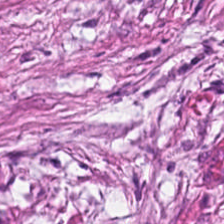H&E-stained tissue section. This field is tumor stroma.
